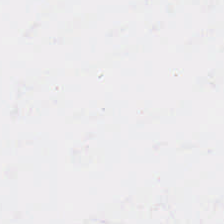Hematoxylin and eosin.
Background (no tissue).
